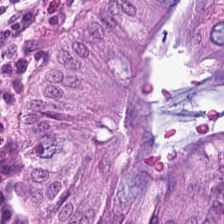H&E stain.
Histology — normal colonic mucosa.
